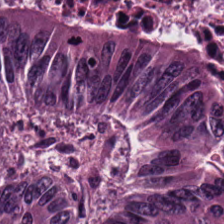Hematoxylin-and-eosin stained section.
Showing colorectal adenocarcinoma.
